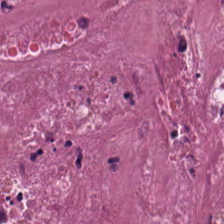H&E — cellular debris.
